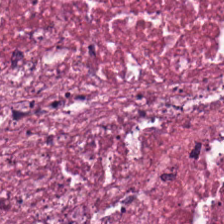Stain: hematoxylin-and-eosin stained section.
Predominant tissue: cellular debris.
